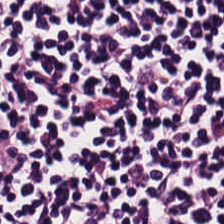H&E stain. FFPE tissue section.
The predominant tissue is lymphocytic infiltrate.
